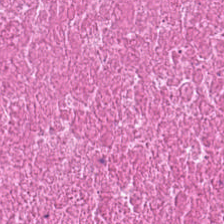The tissue type is cellular debris.
